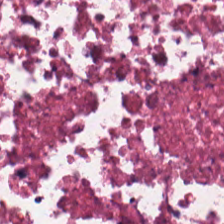Stain: hematoxylin and eosin.
Preparation: FFPE.
Tissue class: debris.
